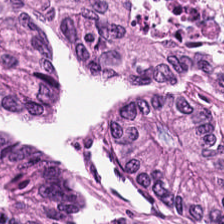Stain: hematoxylin and eosin.
Tissue type: colorectal adenocarcinoma epithelium.
